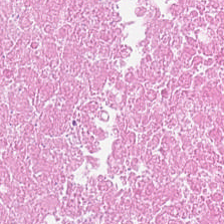Hematoxylin-and-eosin stained section. Finding — cellular debris.
